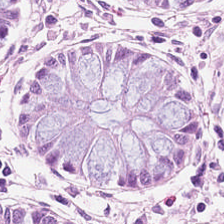Tissue type = benign colonic mucosa.
